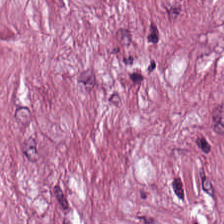Tissue class — tumor stroma.
